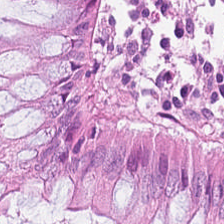H&E stain. Tissue class = non-neoplastic colon mucosa.
